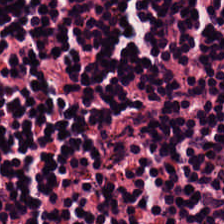Tissue class = lymphoid infiltrate.
